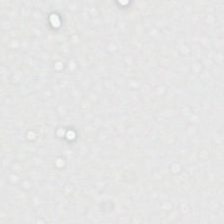Hematoxylin-and-eosin stained section — No tissue present; background only.
